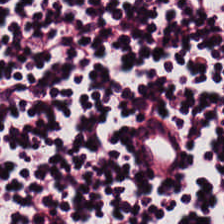Impression → lymphoid infiltrate.
